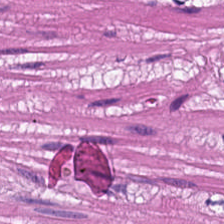Hematoxylin and eosin; WSI patch.
{"tissue_type": "muscularis"}
